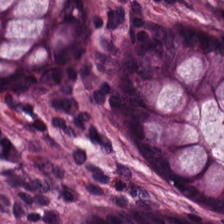Hematoxylin and eosin — Q: What tissue type is shown here?
A: It is normal colon mucosa.
